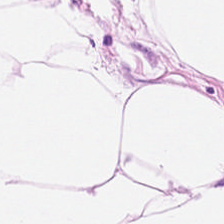Stain: H&E.
Preparation: formalin-fixed paraffin-embedded section.
Classification: adipose.
